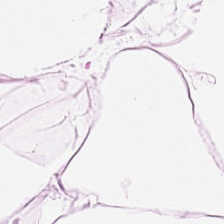224×224 pixel tile. Hematoxylin-and-eosin stained section. 0.5 microns per pixel — Q: Identify the tissue.
A: The field shows adipose tissue.
